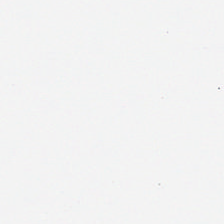The classification is background (no tissue).
